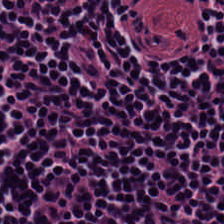Hematoxylin-and-eosin stained section.
Predominantly lymphoid infiltrate.
